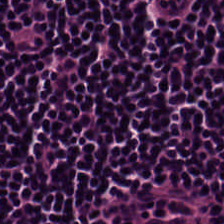Hematoxylin and eosin. Whole-slide-image patch — Showing lymphocytic infiltrate.
